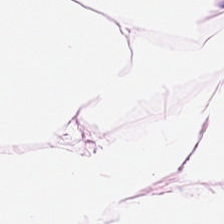Tissue type = adipocytes.
